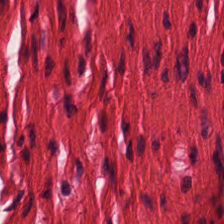H&E stain.
The tissue type is smooth muscle.
